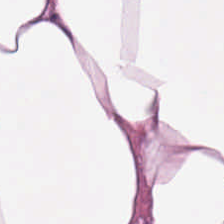Tissue type: fat tissue.
